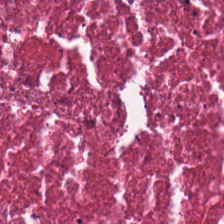Stain: hematoxylin and eosin.
Resolution: 0.5 microns per pixel.
Predominant tissue: cellular debris.
